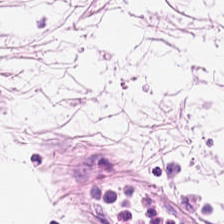224×224 pixel tile; 0.5 microns per pixel; H&E stain.
This patch shows adipose.
